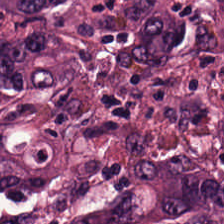FFPE; H&E-stained tissue section. Histology — adenocarcinoma.
